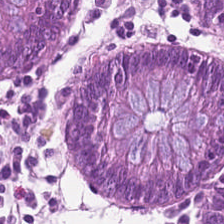H&E · brightfield · 224×224 pixel tile — {"tissue_type": "normal colonic mucosa"}
